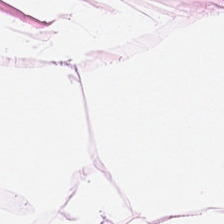H&E stain — This field is adipose tissue.
